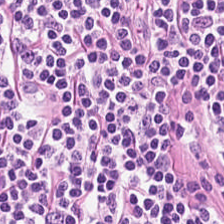H&E · FFPE — This patch shows lymphocytes.
